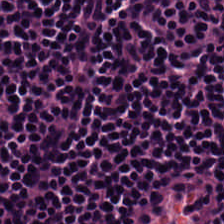224×224 pixel tile; H&E. Finding → lymphocytic infiltrate.
